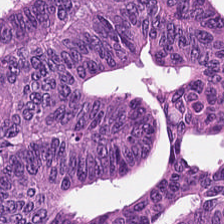Hematoxylin-and-eosin stained section — This patch shows colorectal adenocarcinoma epithelium.
